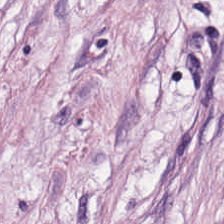H&E stain; brightfield — Tumor-associated stroma.
